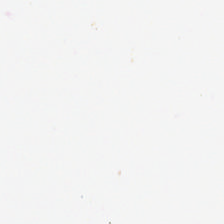H&E-stained tissue section — Background — no tissue in this field.
